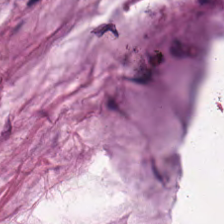H&E stain. The tissue here is extracellular mucin.
